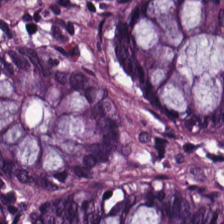Brightfield microscopy · H&E stain. {"tissue_type": "non-neoplastic colon mucosa"}
